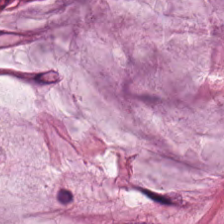H&E stain — This patch shows extracellular mucin.
